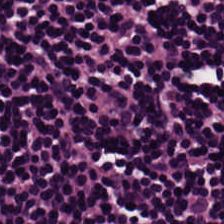Showing lymphocyte aggregate.
